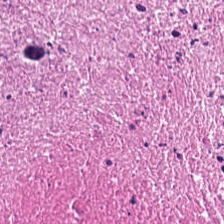Hematoxylin-and-eosin section: cellular debris.
